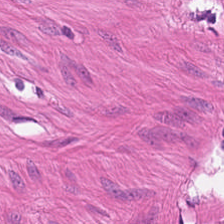H&E stain.
Histology — smooth-muscle tissue.
